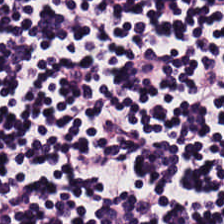FFPE; brightfield; H&E-stained tissue section — This field is lymphoid infiltrate.
